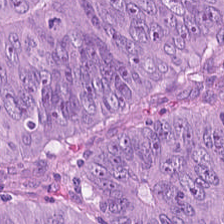Hematoxylin and eosin.
Histology → tumor epithelium.
